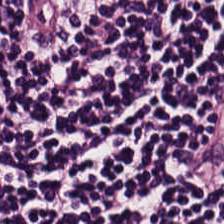H&E-stained tissue section.
Impression — lymphocyte aggregate.
